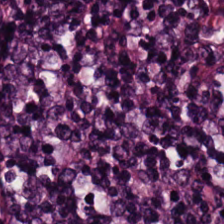H&E-stained tissue section showing lymphocyte aggregate.
